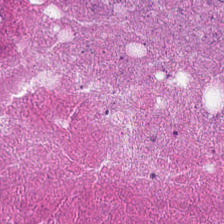H&E-stained tissue section · brightfield · 224×224 px tile.
Tissue type — debris.
